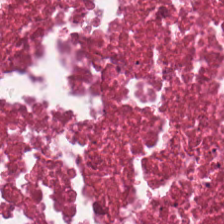Hematoxylin and eosin.
Q: Identify the tissue.
A: This is cellular debris.
